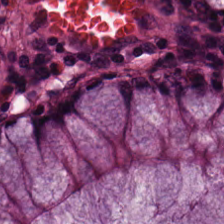224×224 px tile; hematoxylin-and-eosin stained section.
Q: What type of tissue is this?
A: This is non-neoplastic colon mucosa.
